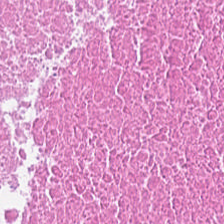Q: What is shown in this field?
A: It is cellular debris.
